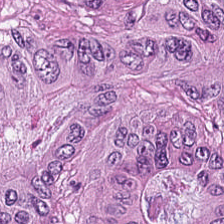Stain: H&E-stained tissue section.
Acquisition: whole-slide-image patch.
Tile size: 224×224 px patch.
Tissue: tumor epithelium.
